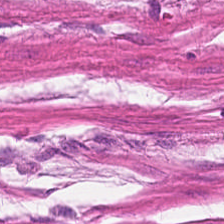H&E · formalin-fixed paraffin-embedded section.
This patch shows smooth muscle.
